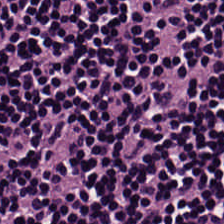Formalin-fixed paraffin-embedded section; H&E. Classification — lymphoid infiltrate.
